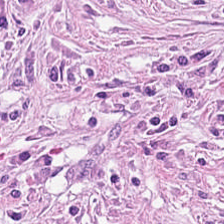FFPE tissue section; H&E stain; 224×224 px tile. This patch shows tumor stroma.
